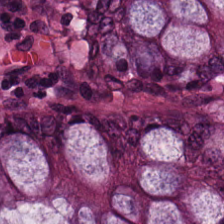Stain: H&E-stained tissue section.
Tissue: benign colonic mucosa.
